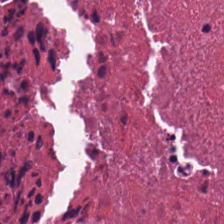Stain: hematoxylin and eosin.
Tissue type: cellular debris.
